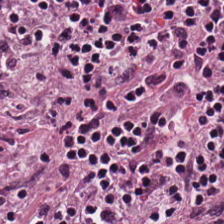224×224 px patch. Hematoxylin and eosin — This patch shows lymphocytes.
